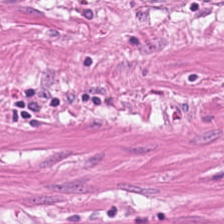H&E-stained tissue section — Finding — smooth-muscle tissue.
